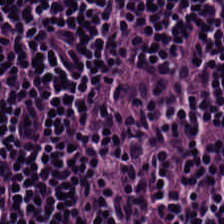Stain: H&E stain.
Classification: lymphoid infiltrate.
